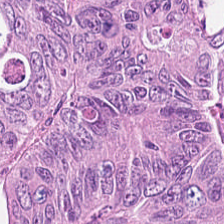H&E — The classification is colorectal adenocarcinoma epithelium.
